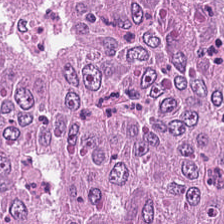H&E stain — Colorectal adenocarcinoma.
